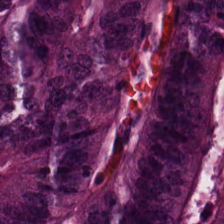Hematoxylin and eosin. This field is colorectal adenocarcinoma.
